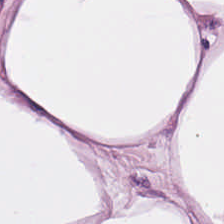Stain: H&E-stained tissue section.
Acquisition: whole-slide-image patch.
Tile size: 224×224 px patch.
Predominant tissue: adipocytes.
